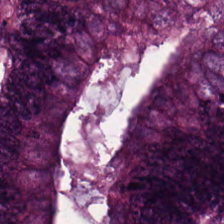H&E stain — Malignant epithelium.
